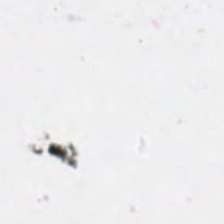Whole-slide-image patch. H&E-stained tissue section.
The content is no tissue.
